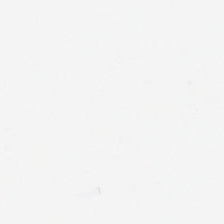Stain: H&E.
Resolution: 0.5 µm per pixel.
Content: empty background.
